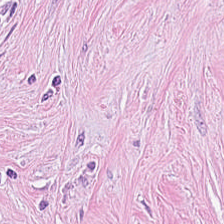FFPE. H&E stain. Desmoplastic stroma.
